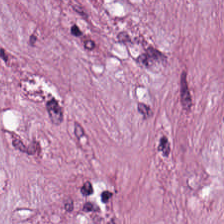Stain: H&E-stained tissue section.
Classification: tumor stroma.
